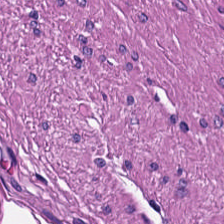Predominantly smooth muscle.
